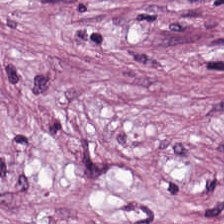Hematoxylin and eosin · brightfield microscopy — Tissue class — desmoplastic stroma.
